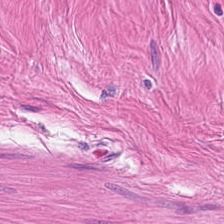224×224 px tile. H&E-stained tissue section. FFPE tissue section.
Showing smooth muscle.
